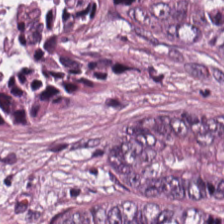Q: What does this patch show?
A: It is adenocarcinoma.
